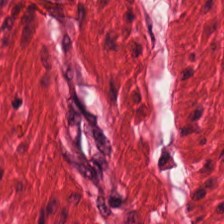H&E — smooth-muscle tissue.
